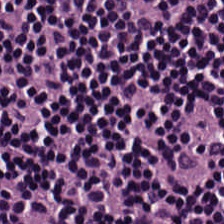Brightfield · H&E stain — The predominant tissue is lymphocytic infiltrate.
